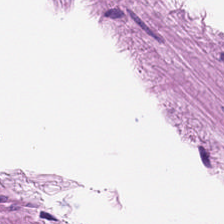Finding → muscularis.
